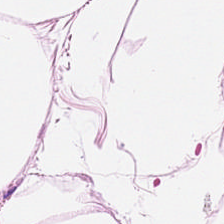Hematoxylin-and-eosin stained section.
Q: What is shown in this field?
A: The field shows adipose.
